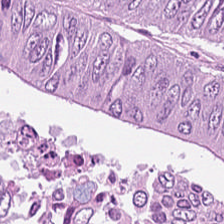Hematoxylin and eosin · whole-slide-image patch. Q: Identify the tissue.
A: This is malignant epithelium.
